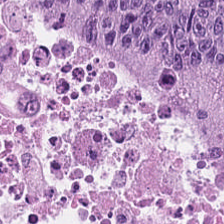Q: What is shown in this field?
A: It is colorectal adenocarcinoma.
